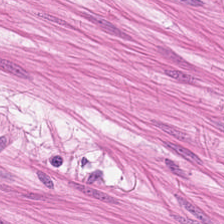H&E-stained section; the field shows smooth-muscle tissue.
